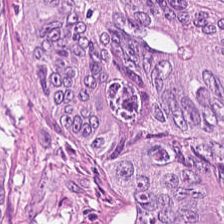The tissue class is tumor epithelium.
